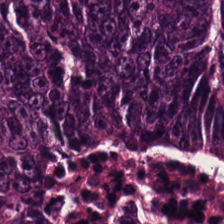Stain: H&E stain.
Resolution: 20× equivalent magnification.
Tissue class: adenocarcinoma.
